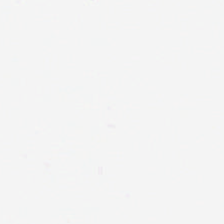H&E — Q: Classify this patch.
A: Empty background.
